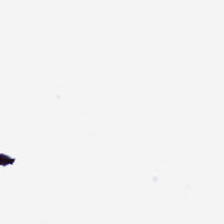H&E; brightfield.
Finding → background (no tissue).
